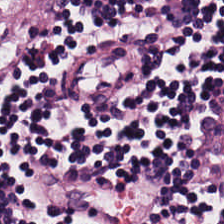Hematoxylin and eosin.
Q: What does this patch show?
A: Lymphocytes.
